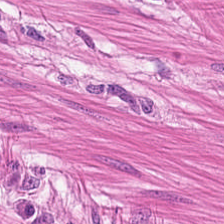Stain: H&E stain.
Tissue type: muscularis.
